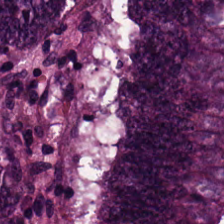Whole-slide-image patch · 224×224 px patch · H&E — The tissue class is malignant epithelium.
